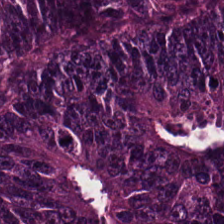H&E stain. Tissue type — colorectal adenocarcinoma epithelium.
